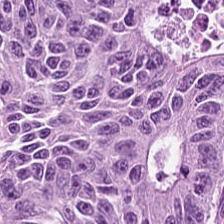H&E stain. Predominant tissue = malignant epithelium.
